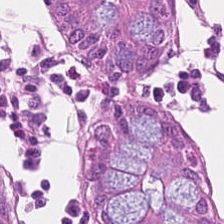Hematoxylin-and-eosin stained section. The tissue here is benign colonic mucosa.
